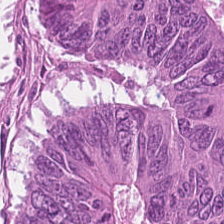Hematoxylin-and-eosin stained section.
This patch shows malignant epithelium.
